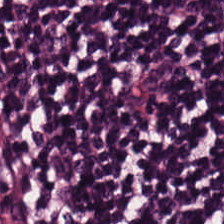Stain: H&E stain.
Tissue: lymphocyte aggregate.
